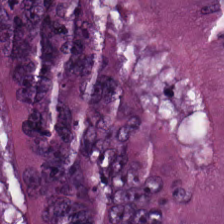224×224 pixel tile. 0.5 µm per pixel. H&E stain. Classification — tumor epithelium.
